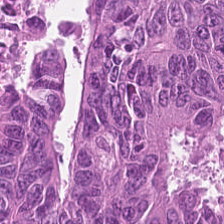Whole-slide-image patch; H&E — Q: What tissue type is shown here?
A: Tumor epithelium.
